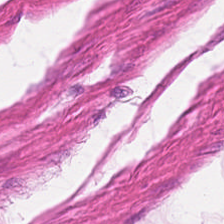Hematoxylin and eosin; 0.5 µm/px.
Q: What is shown in this field?
A: It is smooth muscle.
